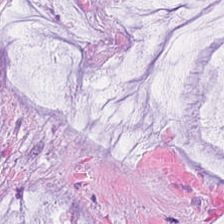Stain: H&E.
Tile size: 224×224 px tile.
Acquisition: whole-slide-image patch.
Classification: mucin.
